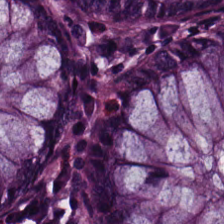20× equivalent magnification. 224×224 px tile. H&E stain — Normal colonic mucosa.
